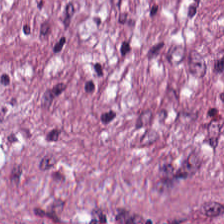Tissue — cancer-associated stroma.
